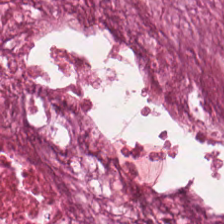Hematoxylin and eosin — Predominantly cellular debris.
